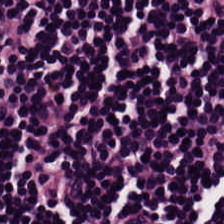0.5 microns per pixel; hematoxylin and eosin — Q: What is shown in this field?
A: Lymphocytic infiltrate.
